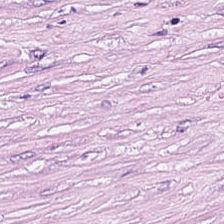Predominantly tumor stroma.
